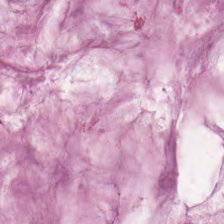Stain: hematoxylin-and-eosin stained section.
Preparation: FFPE.
Tile size: 224×224 px patch.
Classification: extracellular mucin.
